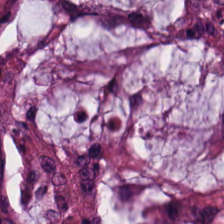WSI patch; H&E stain.
Tumor epithelium.
